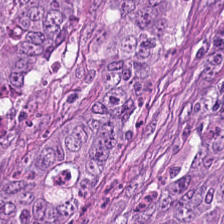H&E stain; 224×224 px patch — Finding — adenocarcinoma.
